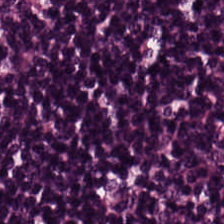H&E. Brightfield microscopy — This field is lymphocytic infiltrate.
